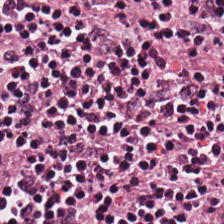FFPE; H&E stain.
Q: What type of tissue is this?
A: Lymphoid infiltrate.
